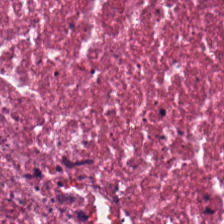Hematoxylin-and-eosin stained section · formalin-fixed paraffin-embedded section. Tissue class = debris.
